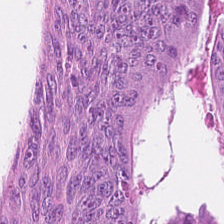Impression — colorectal adenocarcinoma epithelium.
